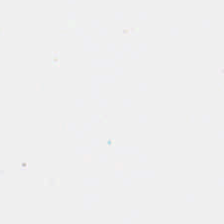Stain: H&E.
Resolution: 0.5 µm/px.
Field content: background.
